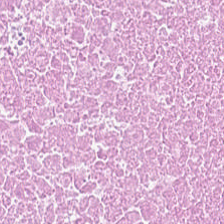H&E — Cellular debris.
